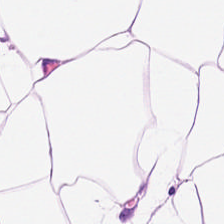H&E stain; brightfield microscopy.
Q: What is shown in this field?
A: It is adipose.
